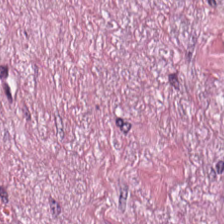Stain: hematoxylin-and-eosin stained section.
Classification: desmoplastic stroma.
